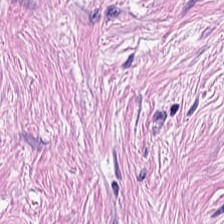20× equivalent magnification · 224×224 px patch · H&E-stained tissue section.
This patch shows tumor-associated stroma.
